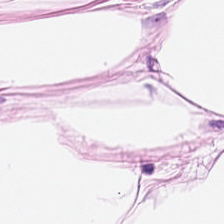Q: What is shown here?
A: The field shows adipocytes.
